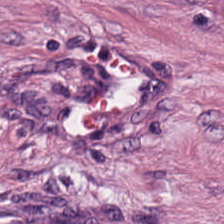Formalin-fixed paraffin-embedded section; H&E — Tumor-associated stroma.
